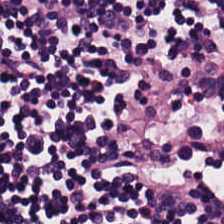Hematoxylin-and-eosin stained section. WSI patch. Histology — lymphocytic infiltrate.
